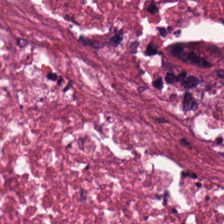H&E-stained section; the field shows necrotic debris.
